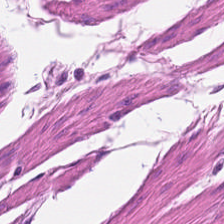Stain: hematoxylin and eosin.
Acquisition: brightfield.
Classification: smooth muscle.
